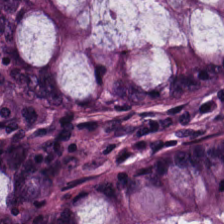Tissue type = normal colonic mucosa.
